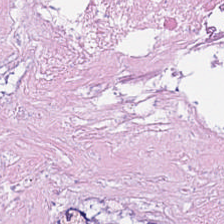Hematoxylin-and-eosin stained section. Tissue — debris.
